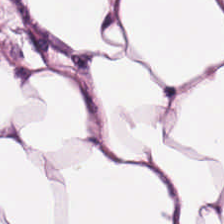H&E stain. The predominant tissue is adipose tissue.
